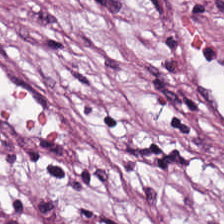H&E stain.
Classification — tumor stroma.
